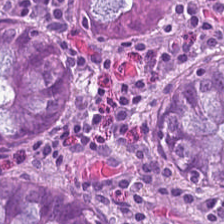H&E stain · whole-slide-image patch.
Histology → normal colonic mucosa.
